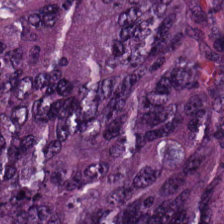Hematoxylin-and-eosin stained section. Predominantly colorectal adenocarcinoma epithelium.
